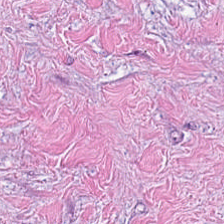Hematoxylin and eosin. Q: Classify this patch.
A: The field shows tumor stroma.
